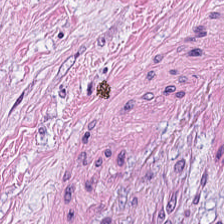Stain: hematoxylin and eosin.
Preparation: FFPE.
Tissue type: desmoplastic stroma.
